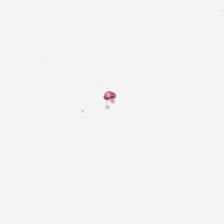0.5 µm per pixel · H&E stain. {"content": "background (no tissue)"}
